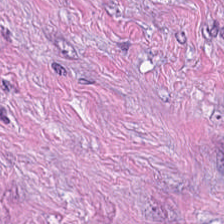Hematoxylin-and-eosin stained section. The predominant tissue is tumor stroma.
